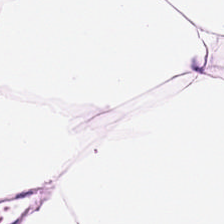FFPE; H&E; 224×224 px patch. This field is fat tissue.
